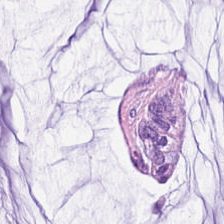H&E; formalin-fixed paraffin-embedded section — Q: What is the predominant tissue type?
A: The field shows mucin.
